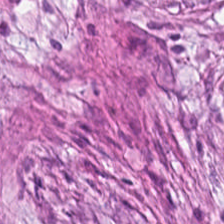Predominantly cancer-associated stroma.
